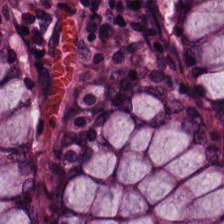H&E-stained tissue section. This field is normal colonic mucosa.
